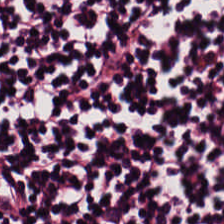0.5 µm/px. Hematoxylin-and-eosin stained section.
Tissue — lymphocyte aggregate.
